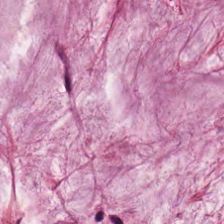0.5 µm/px · H&E stain. Tissue type = extracellular mucin.
